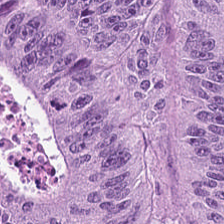224×224 pixel tile. Hematoxylin and eosin. 20× equivalent magnification. Adenocarcinoma.
